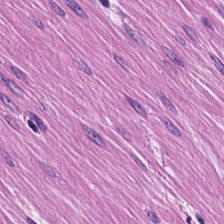FFPE tissue section; H&E-stained tissue section. Q: What tissue type is shown here?
A: Smooth muscle.
